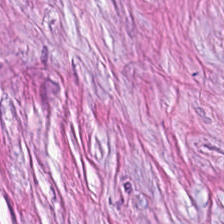Stain: hematoxylin and eosin.
Tissue class: tumor-associated stroma.
